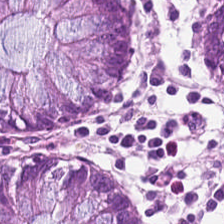H&E · 0.5 µm per pixel.
The predominant tissue is non-neoplastic colon mucosa.
